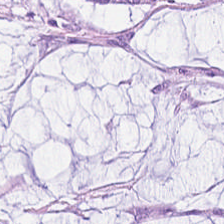Brightfield microscopy; hematoxylin and eosin; 224×224 px tile — The tissue class is extracellular mucin.
